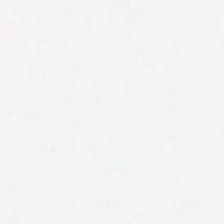Stain: H&E-stained tissue section.
Resolution: 0.5 microns per pixel.
Field content: background.
